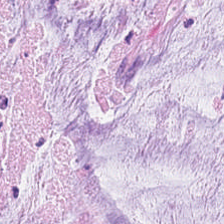20× equivalent magnification; H&E.
Predominantly mucin.
